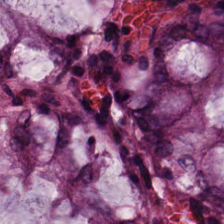Hematoxylin-and-eosin stained section. The tissue type is normal colonic mucosa.
